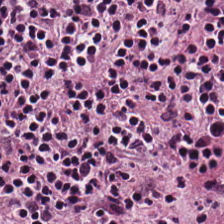Hematoxylin and eosin. {"tissue_type": "lymphoid infiltrate"}
